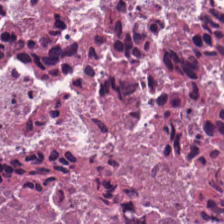20× equivalent magnification · FFPE tissue section · H&E-stained tissue section — Q: Classify this patch.
A: The field shows debris.
